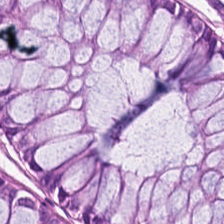H&E stain; 224×224 px tile; formalin-fixed paraffin-embedded section.
Tissue — normal colon mucosa.
